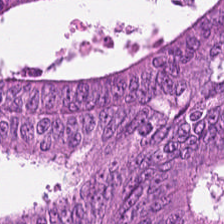This patch shows colorectal adenocarcinoma epithelium.
